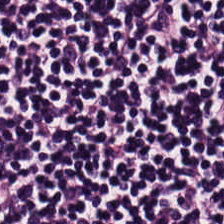Hematoxylin and eosin. 224×224 px tile. Impression — lymphoid infiltrate.
